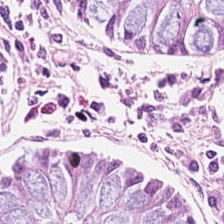The predominant tissue is benign colonic mucosa.
